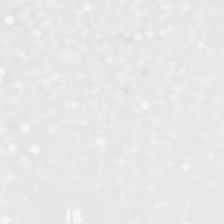H&E.
This field is background (no tissue).
